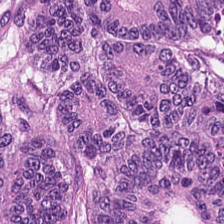H&E stain · FFPE.
Histology — adenocarcinoma.
